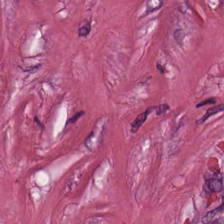H&E-stained section; the field shows tumor stroma.
